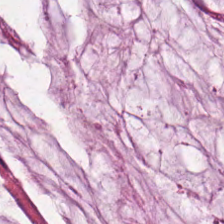Stain: hematoxylin-and-eosin stained section.
Resolution: 0.5 microns per pixel.
Preparation: FFPE.
Classification: mucus.
